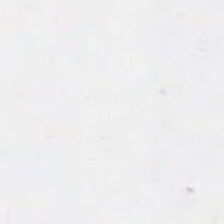Hematoxylin-and-eosin stained section.
Q: What is shown in this field?
A: The field shows background (no tissue).
